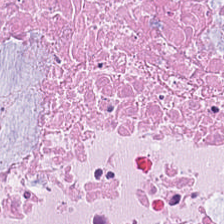H&E-stained tissue section · FFPE tissue section.
Tissue type: necrotic debris.
